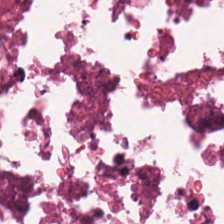Q: What is the predominant tissue type?
A: The field shows necrotic debris.
